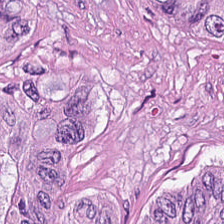Predominant tissue = adenocarcinoma.
